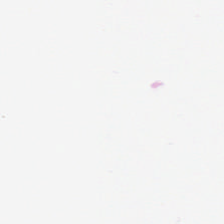H&E stain — Q: Classify this patch.
A: It is empty background.
